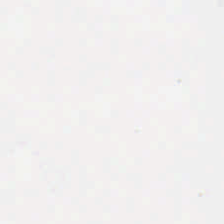Hematoxylin-and-eosin stained section.
Finding → background (no tissue).
